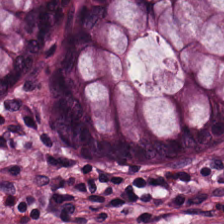Benign colonic mucosa.
